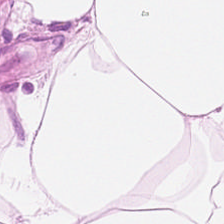H&E stain — Histology — adipose.
